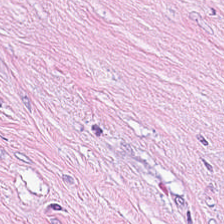Q: What does this patch show?
A: This is tumor-associated stroma.
